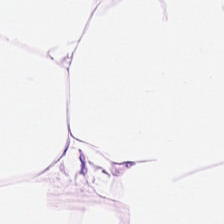Formalin-fixed paraffin-embedded section · hematoxylin-and-eosin stained section. The tissue type is adipocytes.
